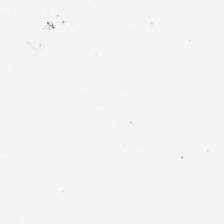Brightfield microscopy. 20× equivalent magnification. Hematoxylin-and-eosin stained section.
{"content": "no tissue"}
